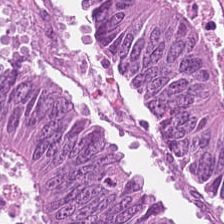H&E stain. 0.5 µm/px. FFPE tissue section — Showing malignant epithelium.
